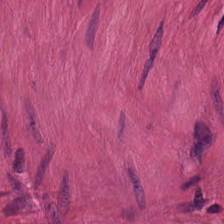Hematoxylin-and-eosin stained section · WSI patch. Predominant tissue = smooth muscle.
